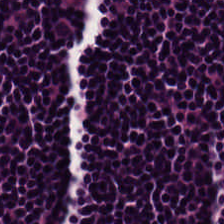The tissue class is lymphoid infiltrate.
